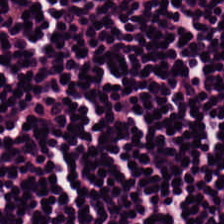Brightfield microscopy; hematoxylin-and-eosin stained section; 224×224 px tile.
Predominantly lymphocyte aggregate.
